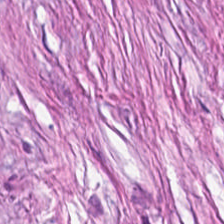224×224 px tile. H&E-stained tissue section. 0.5 microns per pixel. Cancer-associated stroma.
